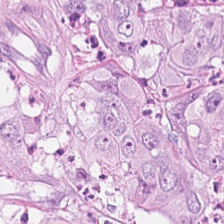Hematoxylin-and-eosin stained section; formalin-fixed paraffin-embedded section; 0.5 microns per pixel. Showing colorectal adenocarcinoma.
